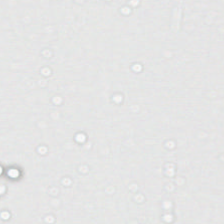Stain: hematoxylin and eosin.
Tile size: 224×224 px patch.
Preparation: FFPE.
Classification: empty background.
